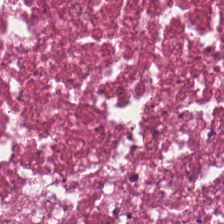Stain: hematoxylin and eosin.
Tile size: 224×224 pixel tile.
Acquisition: whole-slide-image patch.
Tissue type: debris.
